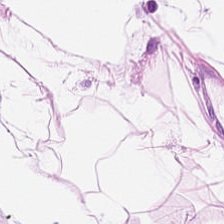Hematoxylin-and-eosin stained section.
Tissue type — adipose tissue.
